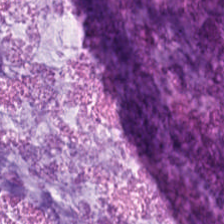H&E-stained tissue section.
Histology — mucin.
